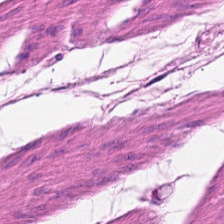H&E — This field is smooth-muscle tissue.
